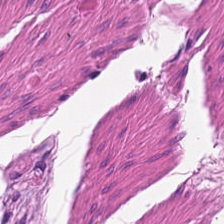H&E stain — Predominantly smooth-muscle tissue.
